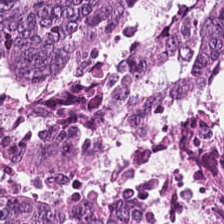0.5 µm per pixel · hematoxylin and eosin.
Predominantly tumor epithelium.
